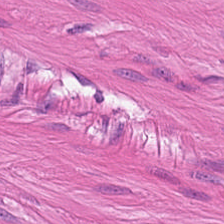224×224 px tile. Hematoxylin-and-eosin stained section. 0.5 µm/px.
Histology → smooth muscle.
